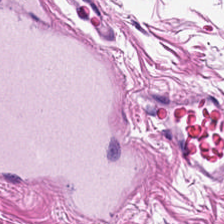224×224 px patch; hematoxylin-and-eosin stained section — This patch shows muscularis.
